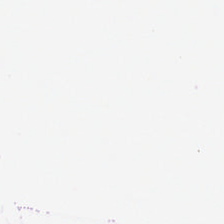0.5 µm/px; H&E-stained tissue section. Empty field — background.
